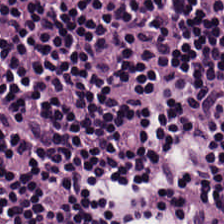Hematoxylin and eosin. 0.5 µm per pixel. Whole-slide-image patch.
Predominant tissue = lymphocytes.
